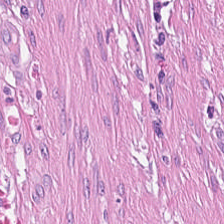H&E stain.
Tissue class — cancer-associated stroma.
